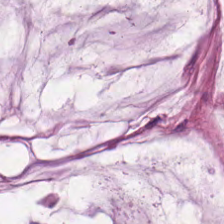H&E stain · brightfield microscopy · 224×224 pixel tile. Q: What is shown here?
A: This is extracellular mucin.
